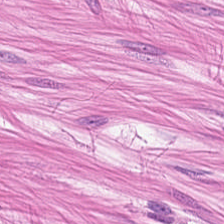H&E stain.
{"tissue_type": "smooth muscle"}
